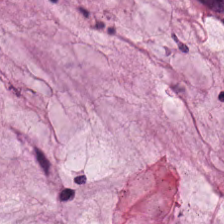H&E stain.
The tissue here is mucus.
